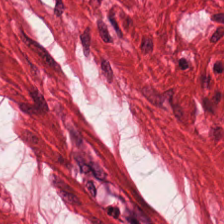Tissue: muscularis.
